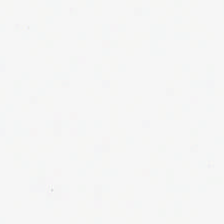The field content is empty background.
